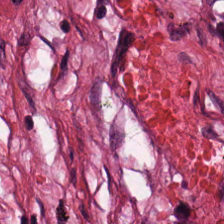H&E-stained tissue section · FFPE.
Tissue class: desmoplastic stroma.
